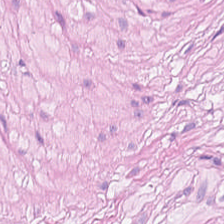H&E stain — Q: What tissue is shown?
A: Smooth muscle.
